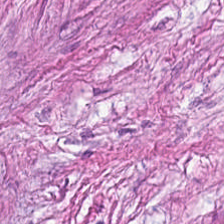H&E-stained tissue section — The predominant tissue is desmoplastic stroma.
